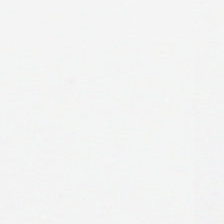H&E — {"content": "background"}
